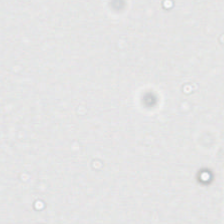Q: What does this patch show?
A: This is background (no tissue).
